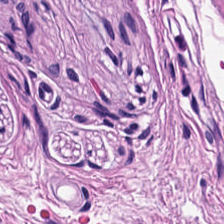H&E-stained tissue section. Brightfield microscopy — Q: What tissue is shown?
A: Smooth muscle.
